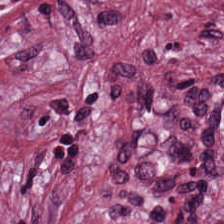Brightfield microscopy · H&E-stained tissue section. Predominantly tumor-associated stroma.
